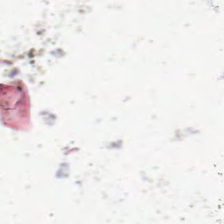0.5 µm per pixel · H&E-stained tissue section.
Finding — background.
